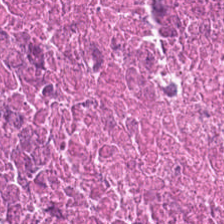FFPE tissue section · H&E-stained tissue section. Cellular debris.
